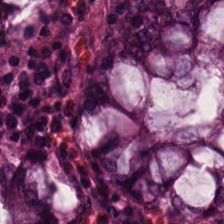Finding → normal colonic mucosa.
